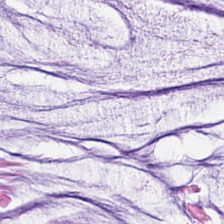Predominant tissue — extracellular mucin.
